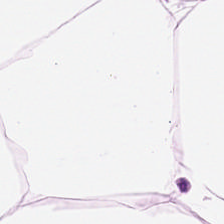H&E. 0.5 µm/px. 224×224 pixel tile — Impression → adipose.
